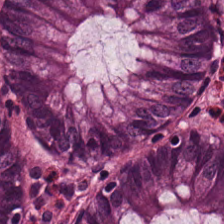H&E stain. FFPE.
Finding — normal colon mucosa.
